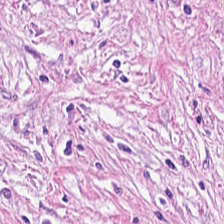Predominantly tumor stroma.
